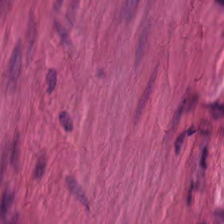H&E stain — Smooth-muscle tissue.
